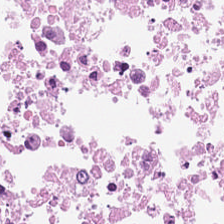Hematoxylin and eosin.
Predominant tissue = cellular debris.
